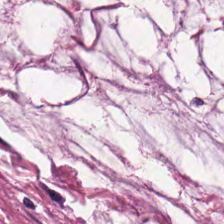Q: What type of tissue is this?
A: This is mucus.
